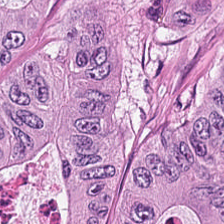H&E patch showing colorectal adenocarcinoma.
